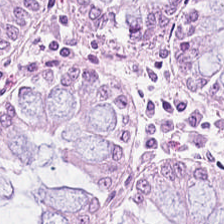H&E-stained tissue section showing non-neoplastic colon mucosa.
